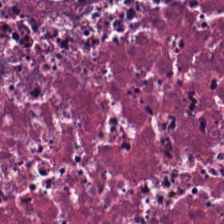FFPE tissue section; whole-slide-image patch; H&E-stained tissue section.
Predominantly cellular debris.
